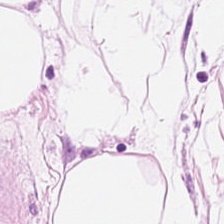H&E stain. Classification: fat tissue.
